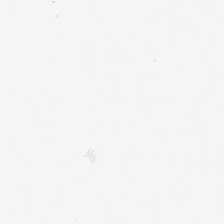Stain: H&E.
Classification: background (no tissue).
